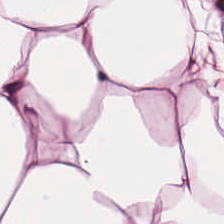H&E — This patch shows adipose tissue.
